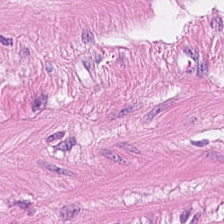Hematoxylin and eosin · WSI patch.
The tissue is smooth-muscle tissue.
